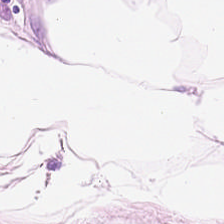H&E — Classification = fat tissue.
